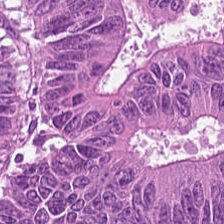Hematoxylin and eosin.
Predominant tissue: colorectal adenocarcinoma epithelium.
